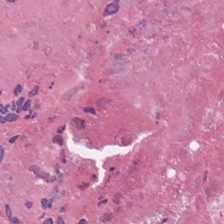The predominant tissue is necrotic debris.
